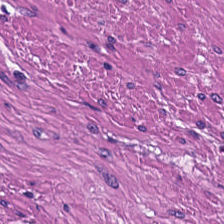H&E stain. This field is smooth muscle.
